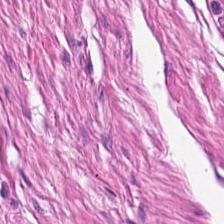Stain: H&E.
Classification: smooth muscle.
